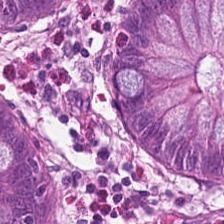H&E stain. The predominant tissue is benign colonic mucosa.
